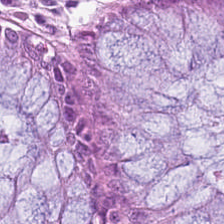H&E-stained section; the field shows normal colonic mucosa.
